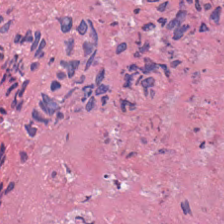Stain: hematoxylin and eosin.
Predominant tissue: necrotic debris.
